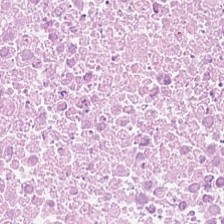0.5 µm per pixel; hematoxylin-and-eosin stained section; brightfield. Debris.
